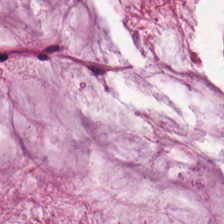Q: What is shown in this field?
A: This is mucin.
